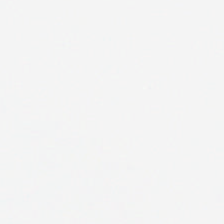224×224 px patch · brightfield microscopy · H&E. {"content": "empty background"}
